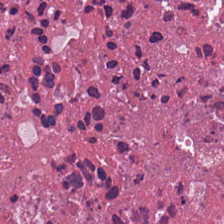Hematoxylin-and-eosin section: debris.
